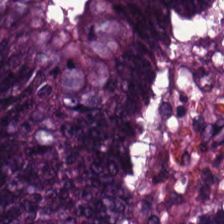H&E-stained tissue section; 0.5 microns per pixel. The tissue type is colorectal adenocarcinoma epithelium.
